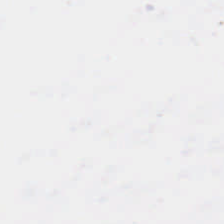Stain: H&E-stained tissue section.
Field content: empty background.
